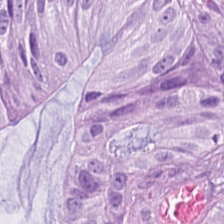Hematoxylin-and-eosin stained section.
Tissue class = colorectal adenocarcinoma epithelium.
